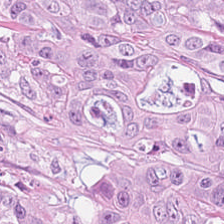H&E-stained tissue section. Finding → tumor epithelium.
